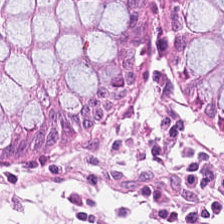Tissue: non-neoplastic colon mucosa.
